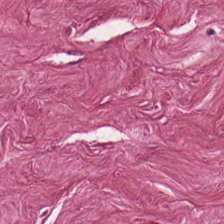Formalin-fixed paraffin-embedded section; H&E-stained tissue section.
This patch shows desmoplastic stroma.
